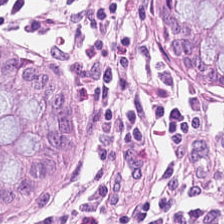Tissue class = normal colon mucosa.
